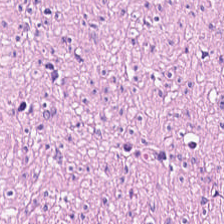Stain: hematoxylin-and-eosin stained section.
Tissue type: muscularis.
